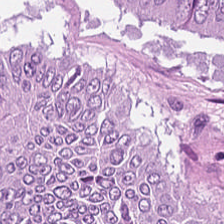Tissue class = adenocarcinoma.
